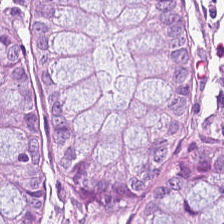Tissue — non-neoplastic colon mucosa.
